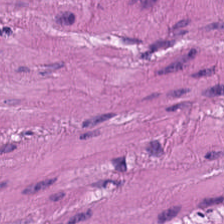H&E-stained tissue section · 224×224 pixel tile.
This patch shows smooth-muscle tissue.
